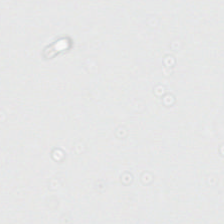Whole-slide-image patch · H&E-stained tissue section. Histology → background (no tissue).
